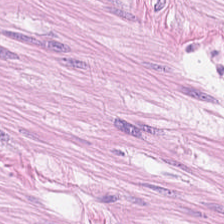H&E — muscularis.
